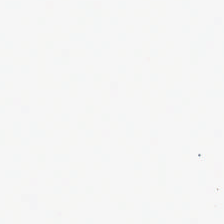224×224 px patch · H&E stain. Background — no tissue in this field.
